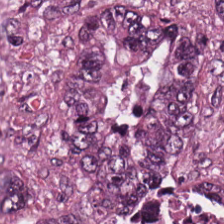Stain: H&E-stained tissue section.
Tile size: 224×224 px tile.
Tissue class: adenocarcinoma.
